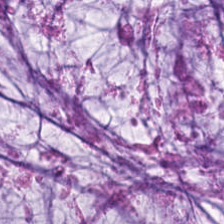H&E.
Extracellular mucin.
